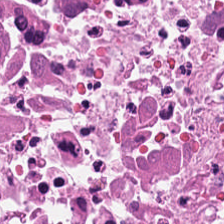Stain: H&E.
Tile size: 224×224 pixel tile.
Acquisition: whole-slide-image patch.
Tissue class: cellular debris.
